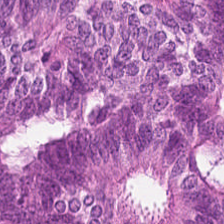Hematoxylin and eosin. Histology → tumor epithelium.
